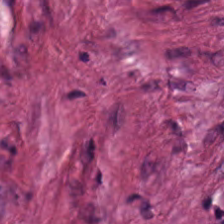H&E-stained tissue section; 0.5 µm/px.
Q: What tissue type is shown here?
A: It is tumor-associated stroma.
